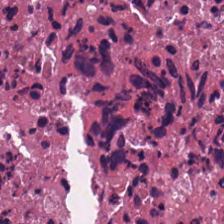Hematoxylin-and-eosin stained section. Q: Identify the tissue.
A: The field shows necrotic debris.
